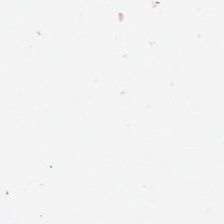H&E.
{"content": "empty background"}
